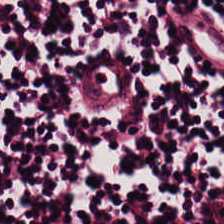Tissue type = lymphocyte aggregate.
